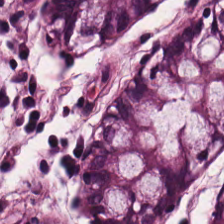Stain: hematoxylin and eosin.
Tissue class: non-neoplastic colon mucosa.
